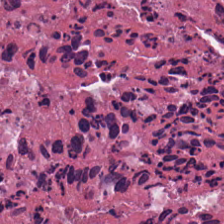FFPE. H&E stain.
Histology → cellular debris.
